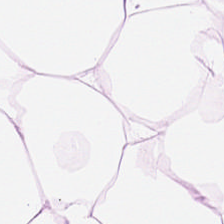Formalin-fixed paraffin-embedded section; H&E stain; whole-slide-image patch.
Q: What does this patch show?
A: This is adipocytes.
